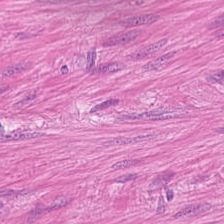Whole-slide-image patch; H&E; 224×224 px tile.
The predominant tissue is muscularis.
